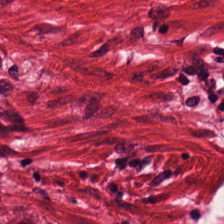Hematoxylin and eosin.
The predominant tissue is smooth muscle.
